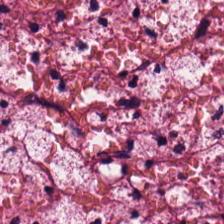Hematoxylin-and-eosin stained section.
The tissue is tumor stroma.
